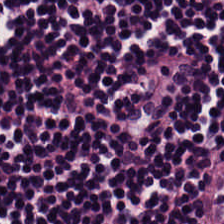Stain: hematoxylin-and-eosin stained section.
Classification: lymphocyte aggregate.
